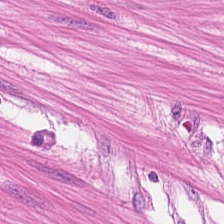H&E-stained tissue section.
Finding → muscularis.
